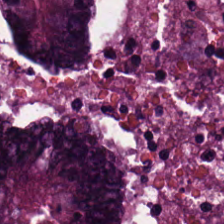Stain: H&E stain.
Preparation: FFPE tissue section.
Tissue: tumor epithelium.
